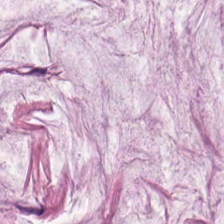Hematoxylin and eosin — Q: What is the predominant tissue type?
A: The field shows mucus.
